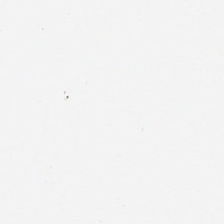Q: What is shown in this field?
A: This is background.
